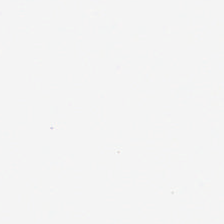0.5 microns per pixel. H&E — Content — background (no tissue).
